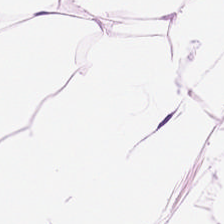Formalin-fixed paraffin-embedded section · H&E — Q: What type of tissue is this?
A: Adipose.
